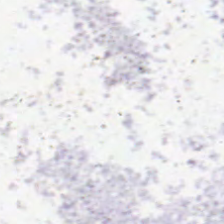Content = background.
